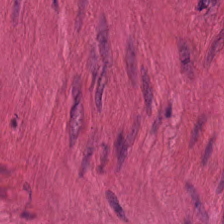Hematoxylin and eosin. Showing smooth-muscle tissue.
